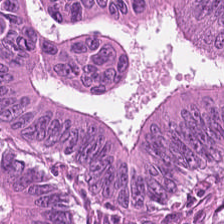Q: What type of tissue is this?
A: This is colorectal adenocarcinoma epithelium.
